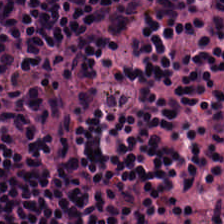H&E stain; 20× equivalent magnification. Q: What type of tissue is this?
A: This is lymphoid infiltrate.
